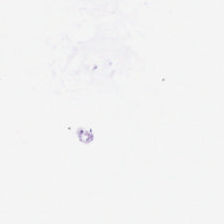Stain: hematoxylin-and-eosin stained section.
Field content: background (no tissue).
